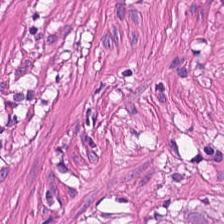Hematoxylin-and-eosin stained section — This patch shows smooth-muscle tissue.
